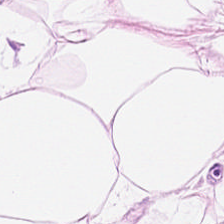Hematoxylin and eosin.
Adipose.
